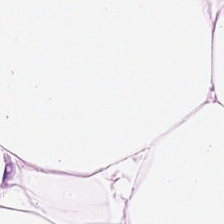Hematoxylin and eosin; FFPE — Tissue type: adipose.
